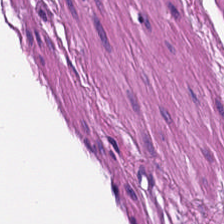H&E-stained tissue section — Tissue class: smooth muscle.
